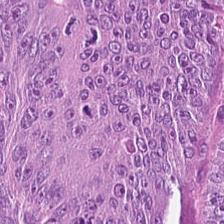Hematoxylin and eosin.
Adenocarcinoma.
